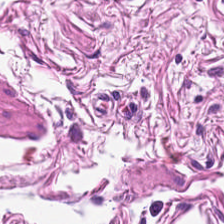Stain: H&E-stained tissue section.
Tile size: 224×224 px patch.
Resolution: 20× equivalent magnification.
Tissue: smooth-muscle tissue.
